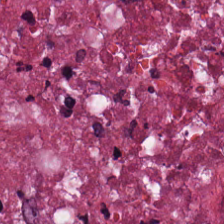H&E patch showing necrotic debris.
